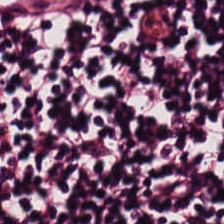Q: What type of tissue is this?
A: It is lymphocyte aggregate.
